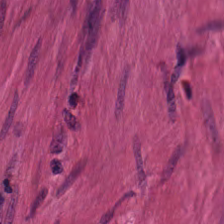This patch shows smooth muscle.
